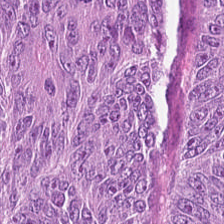224×224 px tile. FFPE. H&E stain. Q: Identify the tissue.
A: This is colorectal adenocarcinoma.
